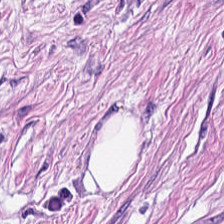224×224 px tile. Brightfield microscopy. H&E stain.
Tissue: muscularis.
